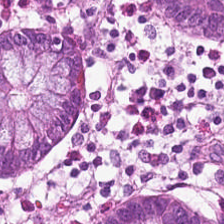Stain: hematoxylin and eosin.
Classification: non-neoplastic colon mucosa.
